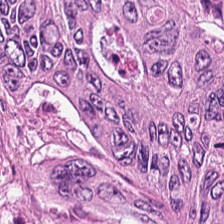H&E patch showing colorectal adenocarcinoma.
